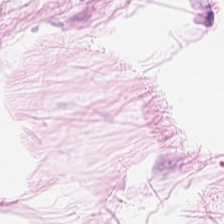FFPE tissue section · WSI patch · hematoxylin and eosin.
Tissue type: adipocytes.
